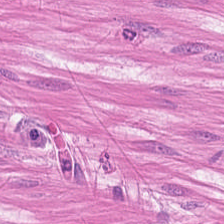Hematoxylin and eosin — {"tissue_type": "smooth-muscle tissue"}
